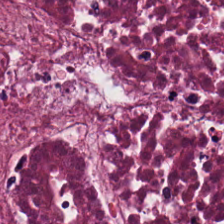H&E-stained tissue section.
Finding → cellular debris.
